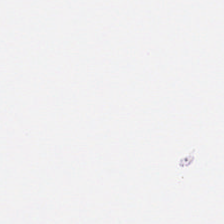Hematoxylin-and-eosin stained section · FFPE tissue section.
Q: What does this patch show?
A: The field shows background (no tissue).
